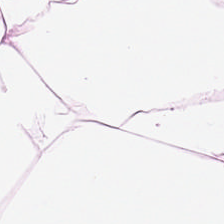Showing adipose.
